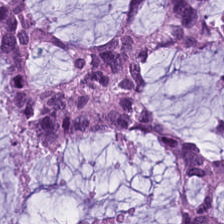H&E stain. This field is extracellular mucin.
